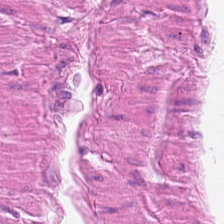Hematoxylin and eosin. FFPE tissue section.
Smooth muscle.
